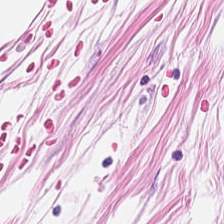FFPE; H&E. The tissue type is adipose.
